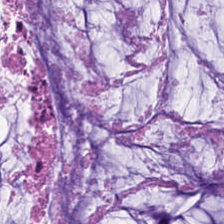The tissue type is mucus.
